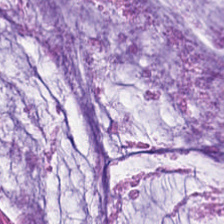H&E stain. Tissue — extracellular mucin.
